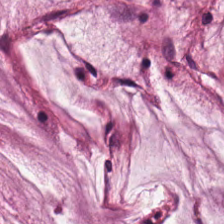H&E-stained tissue section showing mucus.
